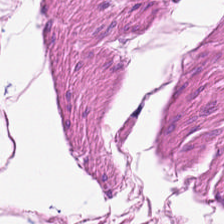H&E-stained section; the field shows smooth-muscle tissue.
